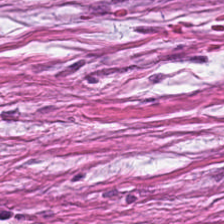The tissue here is desmoplastic stroma.
